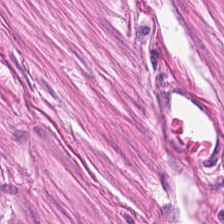Stain: H&E.
Tissue class: muscularis.
